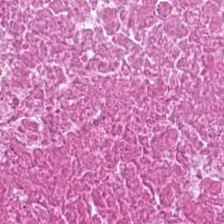Stain: H&E-stained tissue section.
Tile size: 224×224 px tile.
Acquisition: brightfield.
Predominant tissue: cellular debris.
